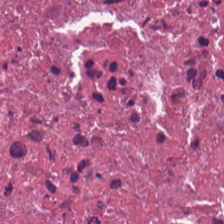Hematoxylin-and-eosin stained section; 224×224 px tile. Q: What tissue type is shown here?
A: This is debris.
